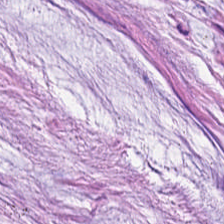H&E stain. Q: What is shown in this field?
A: It is mucus.
